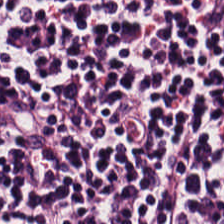Stain: H&E stain.
Tile size: 224×224 pixel tile.
Tissue type: lymphocytes.
